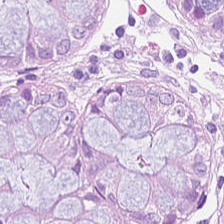H&E stain — Q: What tissue type is shown here?
A: This is normal colonic mucosa.
